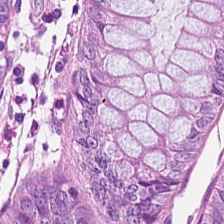Hematoxylin and eosin.
The classification is benign colonic mucosa.
